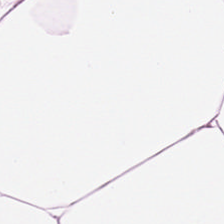H&E-stained tissue section · FFPE · whole-slide-image patch. This patch shows adipose.
